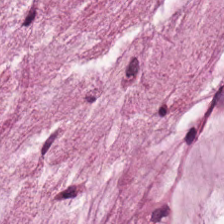FFPE; H&E-stained tissue section; 224×224 px patch. Impression → mucin.
